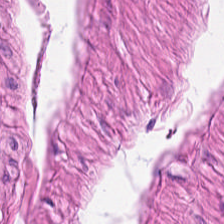Hematoxylin-and-eosin stained section.
Tissue: smooth-muscle tissue.
